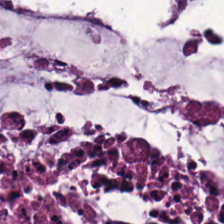Tissue type: extracellular mucin.
